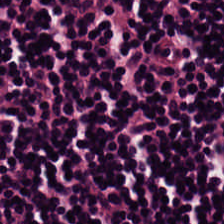Hematoxylin-and-eosin stained section. Showing lymphocytic infiltrate.
